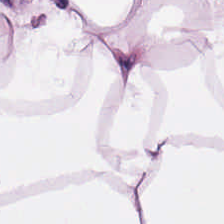H&E stain — {"tissue_type": "adipose tissue"}
